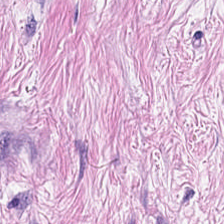H&E stain. 20× equivalent magnification — Desmoplastic stroma.
